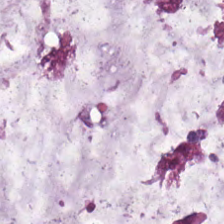The classification is extracellular mucin.
